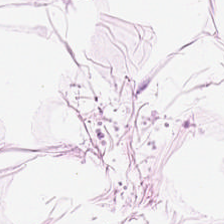WSI patch. Hematoxylin and eosin. 0.5 microns per pixel. This patch shows adipose tissue.
